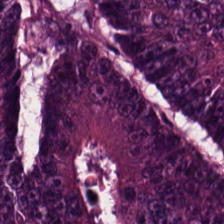H&E; 0.5 microns per pixel — Tissue: tumor epithelium.
